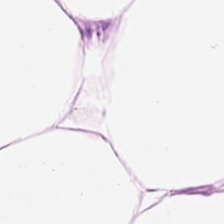H&E stain.
This patch shows adipose tissue.
